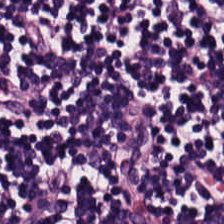Stain: hematoxylin-and-eosin stained section.
Predominant tissue: lymphocytic infiltrate.
